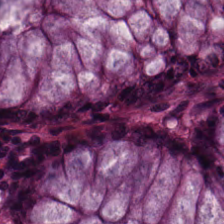Hematoxylin-and-eosin stained section; formalin-fixed paraffin-embedded section. Histology — benign colonic mucosa.
